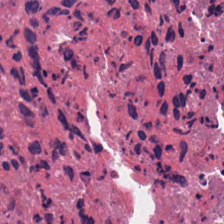H&E stain. {"tissue_type": "necrotic debris"}
